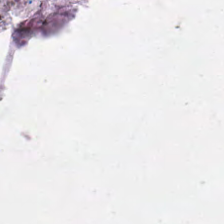Whole-slide-image patch · 224×224 px patch · H&E stain. No tissue present; background only.
